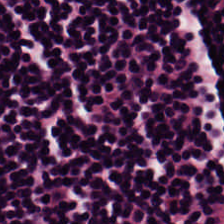H&E-stained tissue section — Showing lymphocytes.
